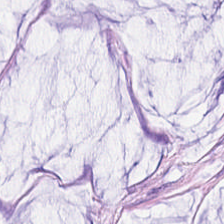H&E.
The predominant tissue is extracellular mucin.
